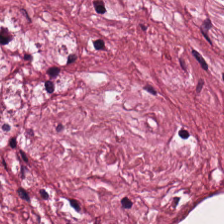Classification = desmoplastic stroma.
